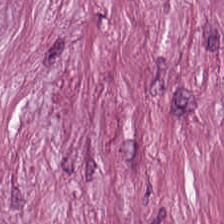H&E stain.
The tissue here is tumor stroma.
